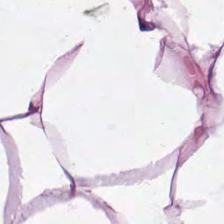H&E stain.
Tissue class = adipose tissue.
